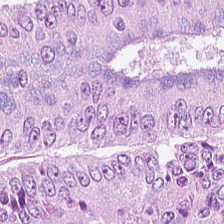H&E stain.
This field is malignant epithelium.
